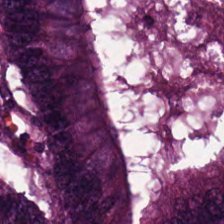0.5 µm/px. Hematoxylin and eosin.
Tissue class — malignant epithelium.
